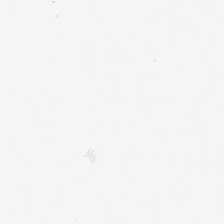224×224 px patch; H&E. The classification is no tissue.
